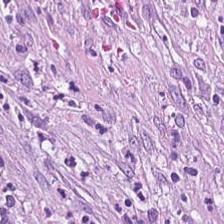H&E · formalin-fixed paraffin-embedded section.
The predominant tissue is tumor-associated stroma.
